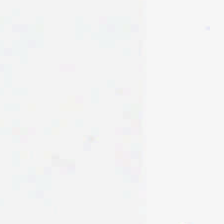H&E. This field is background (no tissue).
